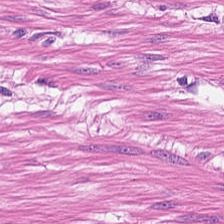Hematoxylin-and-eosin stained section. This field is smooth-muscle tissue.
